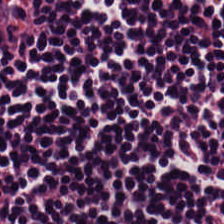H&E.
Classification: lymphocyte aggregate.
